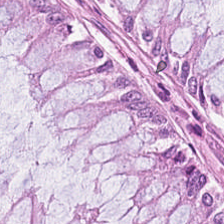H&E. The predominant tissue is non-neoplastic colon mucosa.
